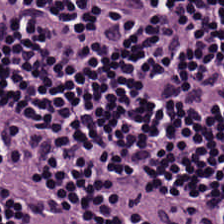Hematoxylin and eosin · 224×224 px tile. Tissue — lymphocytes.
